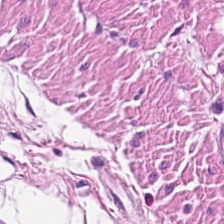Hematoxylin and eosin.
Showing muscularis.
